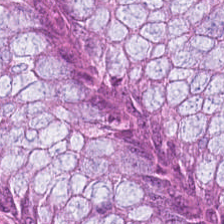H&E stain — Finding → non-neoplastic colon mucosa.
